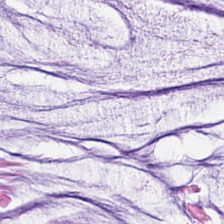H&E stain. Q: What does this patch show?
A: This is mucus.
